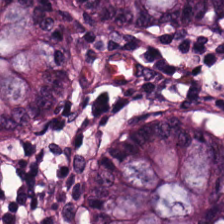Showing normal colonic mucosa.
